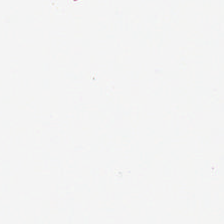224×224 pixel tile · H&E stain. Background.
